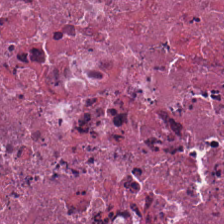Formalin-fixed paraffin-embedded section · 0.5 µm per pixel · H&E.
Tissue type — debris.
